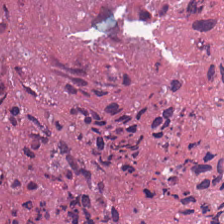Formalin-fixed paraffin-embedded section. H&E stain.
The tissue type is necrotic debris.
